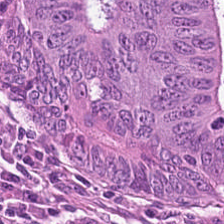H&E stain · brightfield microscopy · formalin-fixed paraffin-embedded section. Tissue class — colorectal adenocarcinoma.
